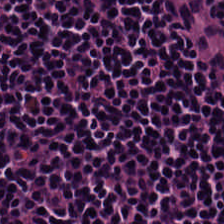224×224 px patch; H&E; 0.5 µm per pixel — Tissue class — lymphocytic infiltrate.
